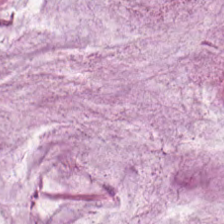H&E · 224×224 px patch. Tissue: mucus.
